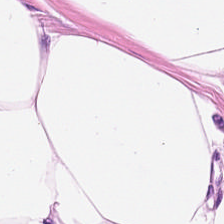This field is fat tissue.
